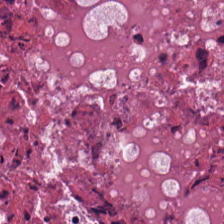224×224 px tile. WSI patch. Hematoxylin and eosin — Histology — cellular debris.
